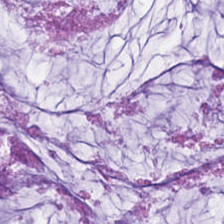Formalin-fixed paraffin-embedded section · H&E.
Mucus.
